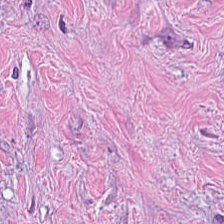H&E-stained tissue section · 20× equivalent magnification · FFPE tissue section. Showing tumor stroma.
